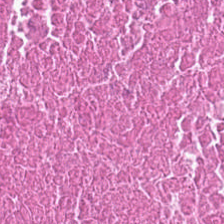H&E stain · FFPE tissue section.
Predominant tissue — cellular debris.
